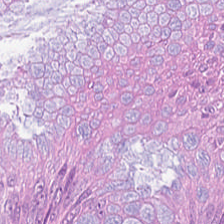Whole-slide-image patch; FFPE; H&E-stained tissue section — Tissue type — colorectal adenocarcinoma epithelium.
